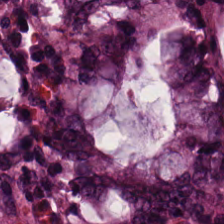Brightfield; H&E. Tissue: benign colonic mucosa.
